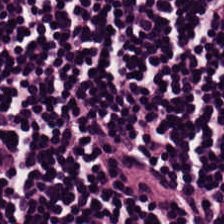H&E-stained tissue section — Finding → lymphoid infiltrate.
